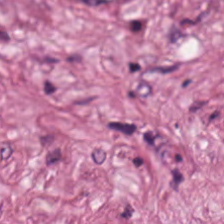Hematoxylin and eosin. Formalin-fixed paraffin-embedded section. 20× equivalent magnification.
Predominantly tumor-associated stroma.
